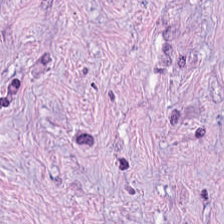The tissue is tumor-associated stroma.
